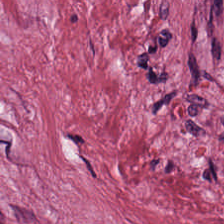H&E-stained tissue section.
Predominantly tumor stroma.
